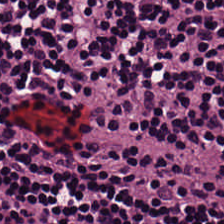H&E stain; 224×224 px tile.
Q: Identify the tissue.
A: Lymphocytic infiltrate.
